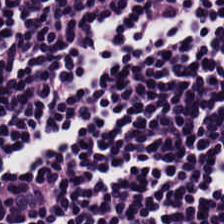The predominant tissue is lymphoid infiltrate.
